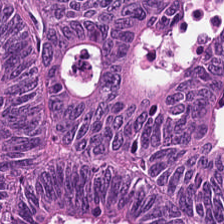H&E stain. Classification — colorectal adenocarcinoma.
